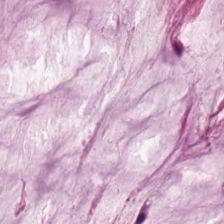0.5 µm/px. 224×224 pixel tile. H&E. Histology → extracellular mucin.
